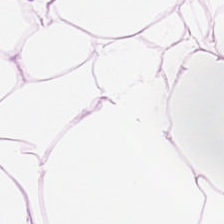H&E; 0.5 µm/px; formalin-fixed paraffin-embedded section. This field is adipose tissue.
